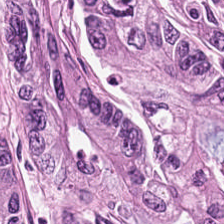Formalin-fixed paraffin-embedded section. WSI patch. H&E-stained tissue section. Colorectal adenocarcinoma.
